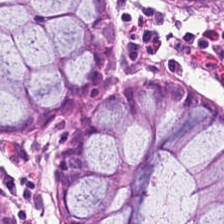H&E.
This patch shows benign colonic mucosa.
